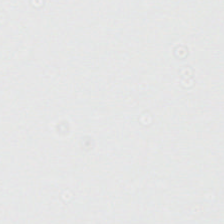Q: What does this patch show?
A: The field shows empty background.
